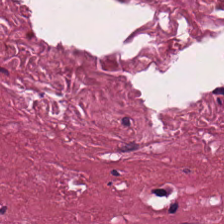H&E-stained tissue section — Desmoplastic stroma.
